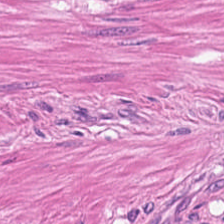Q: What is shown in this field?
A: Smooth muscle.
